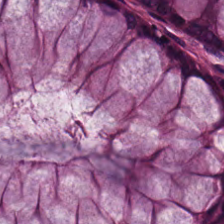Hematoxylin-and-eosin stained section. Formalin-fixed paraffin-embedded section. Q: Classify this patch.
A: This is benign colonic mucosa.
